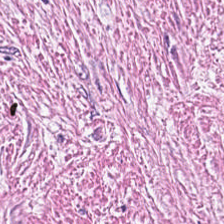Hematoxylin-and-eosin stained section.
Q: What tissue is shown?
A: It is tumor stroma.
